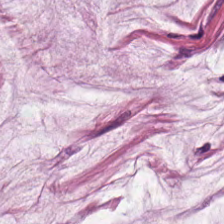Impression → extracellular mucin.
